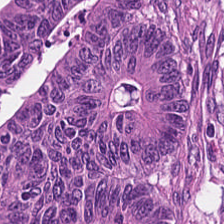Stain: H&E.
Tissue class: colorectal adenocarcinoma epithelium.
